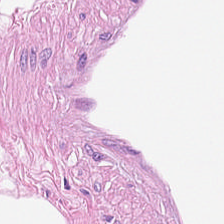Hematoxylin and eosin — Finding — fat tissue.
